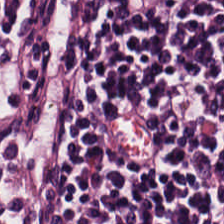H&E stain.
Finding — lymphoid infiltrate.
